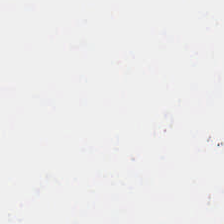Stain: H&E-stained tissue section.
Classification: background.
